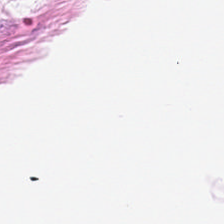Hematoxylin and eosin.
Showing fat tissue.
